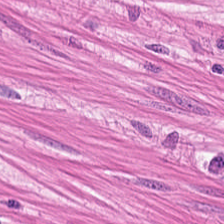Hematoxylin-and-eosin stained section.
Showing muscularis.
